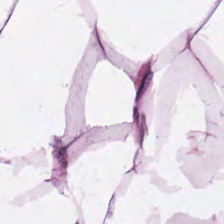H&E-stained tissue section; 224×224 px patch. Showing adipocytes.
